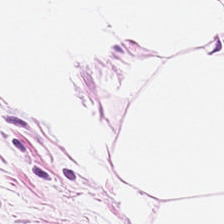Stain: hematoxylin and eosin.
Classification: adipose tissue.
